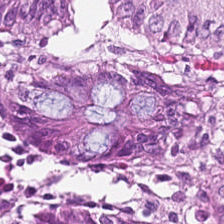H&E-stained tissue section — Tissue = non-neoplastic colon mucosa.
